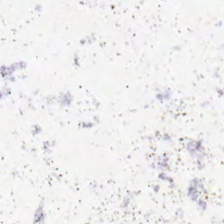Content: background (no tissue).
